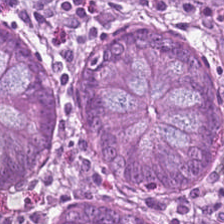FFPE; H&E stain — The classification is benign colonic mucosa.
